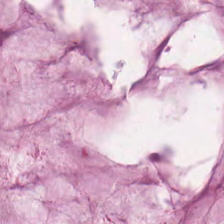Stain: H&E.
Tissue: mucus.
